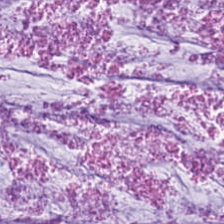H&E stain. Q: What is the predominant tissue type?
A: This is mucus.
